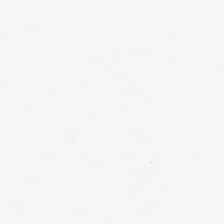Whole-slide-image patch · hematoxylin-and-eosin stained section.
Classification = empty background.
